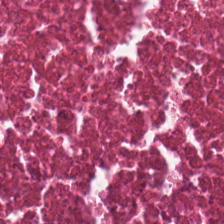This field is necrotic debris.
